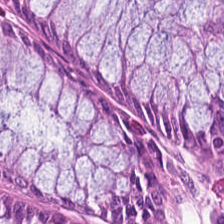Hematoxylin-and-eosin stained section — Normal colon mucosa.
